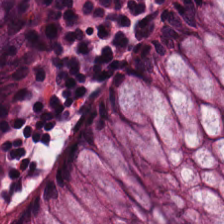H&E stain — This field is normal colonic mucosa.
